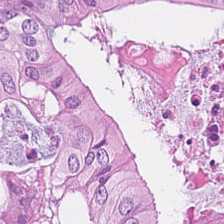FFPE; hematoxylin-and-eosin stained section — Impression — adenocarcinoma.
